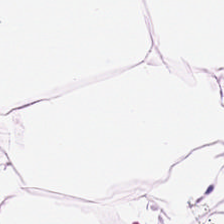The predominant tissue is adipose.
